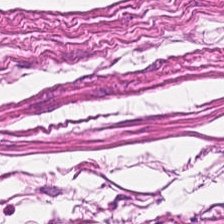Stain: H&E.
Resolution: 0.5 µm/px.
Preparation: formalin-fixed paraffin-embedded section.
Predominant tissue: smooth muscle.
